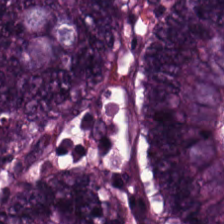Hematoxylin and eosin. The tissue class is tumor epithelium.
